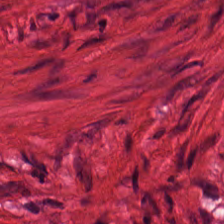Q: What is shown here?
A: It is smooth-muscle tissue.
